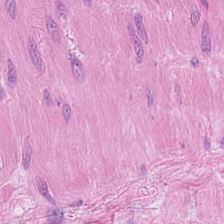Impression → smooth muscle.
